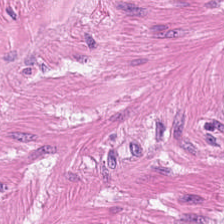Brightfield microscopy. Hematoxylin-and-eosin stained section. 224×224 px tile. This field is smooth-muscle tissue.
